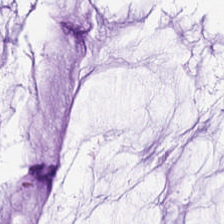Hematoxylin and eosin. Q: What tissue type is shown here?
A: This is mucus.
